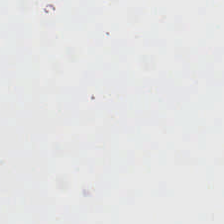Hematoxylin-and-eosin stained section; 20× equivalent magnification; WSI patch — Impression — no tissue.
